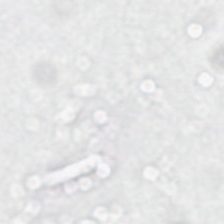The classification is empty background.
